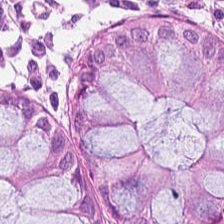Tissue class = non-neoplastic colon mucosa.
